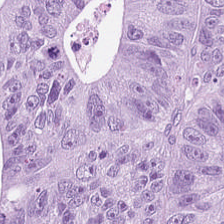Hematoxylin and eosin — {"tissue_type": "tumor epithelium"}
